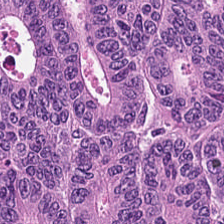Hematoxylin and eosin. Q: What type of tissue is this?
A: Tumor epithelium.
